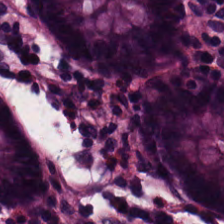224×224 px patch · hematoxylin and eosin. This patch shows benign colonic mucosa.
